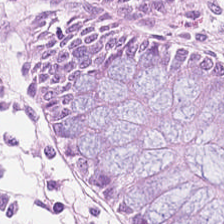Hematoxylin-and-eosin stained section — The predominant tissue is normal colon mucosa.
